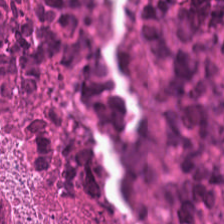H&E. 224×224 px patch. Formalin-fixed paraffin-embedded section. Tissue class = debris.
